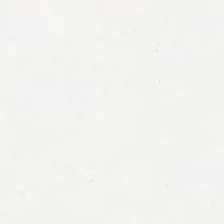H&E. Finding → no tissue.
